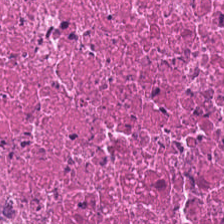{"tissue_type": "necrotic debris"}
